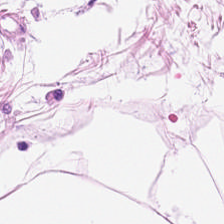H&E-stained tissue section. Predominant tissue — adipose tissue.
